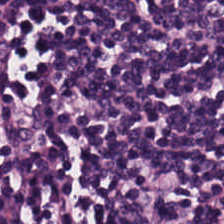H&E; 224×224 px tile.
This patch shows lymphocytic infiltrate.
